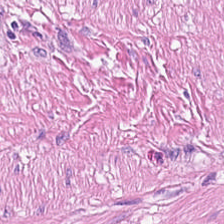Classification: smooth muscle.
